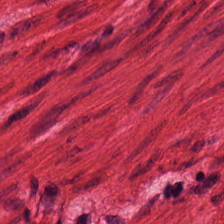Predominantly smooth-muscle tissue.
